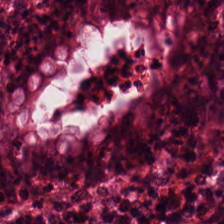Histology → normal colonic mucosa.
